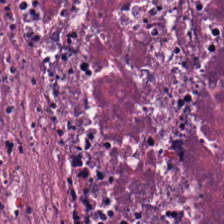{"tissue_type": "cellular debris"}
